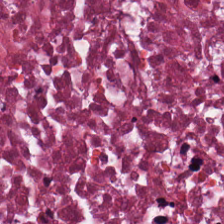Brightfield. H&E-stained tissue section. 20× equivalent magnification — The predominant tissue is necrotic debris.
